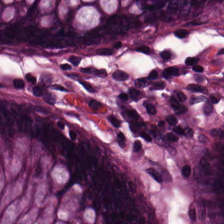0.5 µm per pixel. H&E-stained tissue section. This field is benign colonic mucosa.
